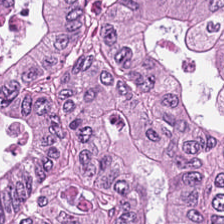Stain: H&E stain.
Tile size: 224×224 px tile.
Tissue class: malignant epithelium.
